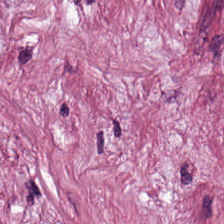H&E · 20× equivalent magnification.
The tissue here is cancer-associated stroma.
